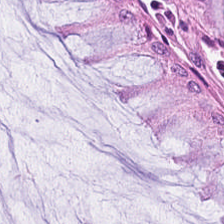H&E stain.
The tissue here is normal colonic mucosa.
